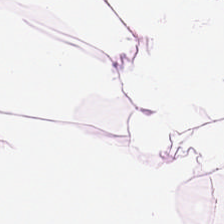Tissue class = adipocytes.
